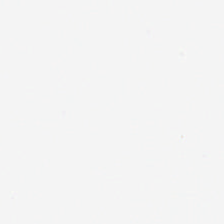Stain: H&E stain.
Tile size: 224×224 pixel tile.
Resolution: 20× equivalent magnification.
Content: no tissue.
